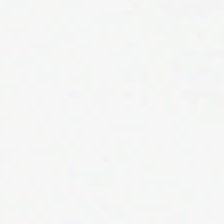H&E stain — This field is background (no tissue).
